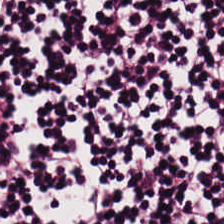H&E stain · FFPE tissue section · WSI patch — Predominant tissue = lymphocytes.
